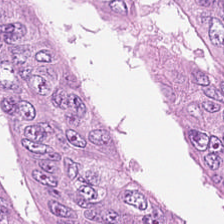Stain: H&E.
Tissue class: adenocarcinoma.
